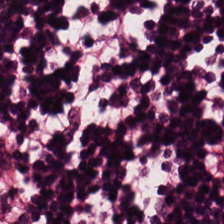H&E stain — This field is lymphocytes.
